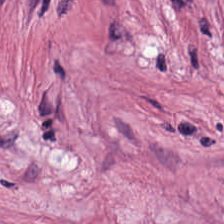Tissue type — desmoplastic stroma.
